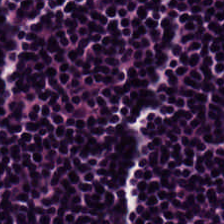Stain: H&E-stained tissue section.
Resolution: 0.5 µm per pixel.
Predominant tissue: lymphoid infiltrate.
